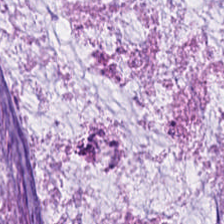Hematoxylin and eosin. The tissue here is extracellular mucin.
